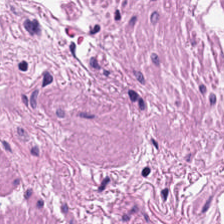{"tissue_type": "smooth muscle"}
